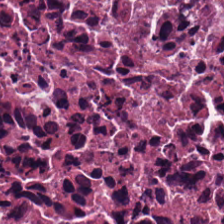H&E-stained tissue section.
The predominant tissue is cellular debris.
